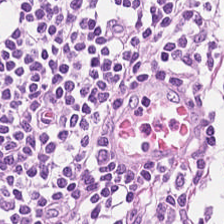H&E-stained tissue section — Histology — lymphocyte aggregate.
